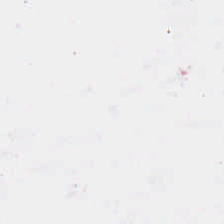H&E-stained tissue section · WSI patch.
{"content": "no tissue"}
